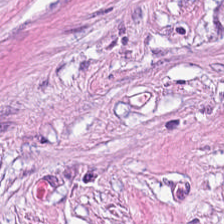Hematoxylin and eosin — Q: What does this patch show?
A: It is tumor-associated stroma.
